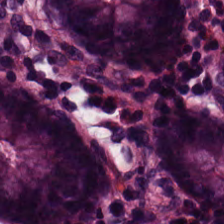H&E-stained tissue section showing benign colonic mucosa.
